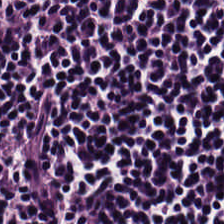Stain: hematoxylin-and-eosin stained section.
Tissue type: lymphocytes.
